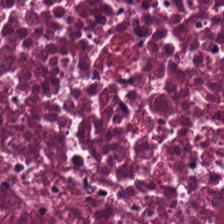H&E. Cellular debris.
